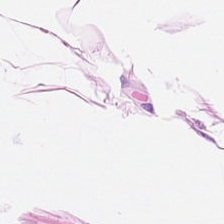H&E stain.
Predominantly adipocytes.
